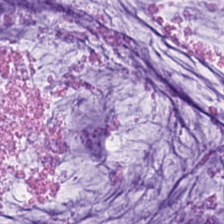Brightfield. H&E stain. Q: What is shown in this field?
A: It is mucin.
